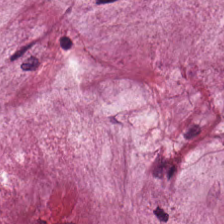0.5 µm/px; H&E.
This field is mucus.
